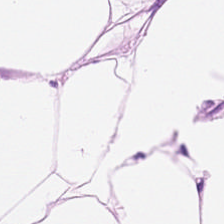224×224 px patch; hematoxylin-and-eosin stained section; FFPE. Showing adipose.
